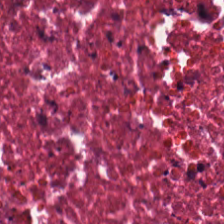H&E stain · 224×224 px tile · FFPE tissue section.
Tissue type: cellular debris.
